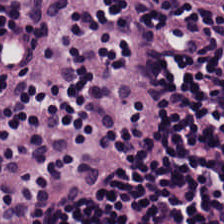FFPE · 0.5 µm per pixel · H&E. Predominant tissue — lymphocytes.
